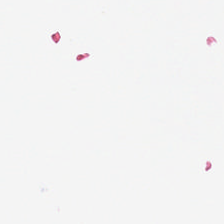H&E — This patch shows no tissue.
